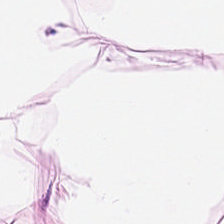Formalin-fixed paraffin-embedded section. H&E stain.
Fat tissue.
